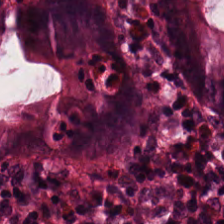H&E. 20× equivalent magnification.
Q: Classify this patch.
A: The field shows normal colon mucosa.
